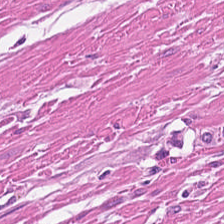Hematoxylin-and-eosin section: smooth-muscle tissue.
